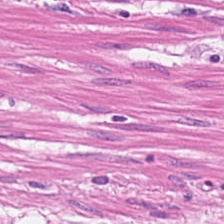The predominant tissue is smooth muscle.
